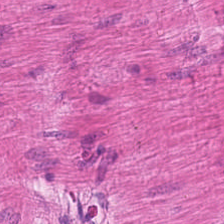Tissue class — smooth-muscle tissue.
